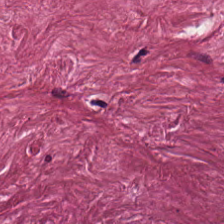H&E-stained tissue section · whole-slide-image patch.
Classification = tumor-associated stroma.
